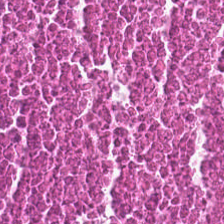Stain: hematoxylin and eosin.
Classification: necrotic debris.
